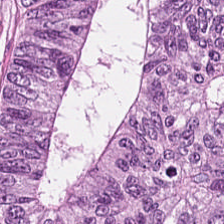H&E-stained tissue section — Predominant tissue = colorectal adenocarcinoma epithelium.
